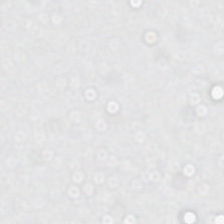Content = no tissue.
